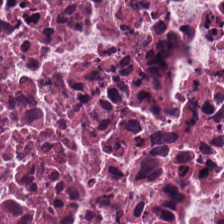Tissue = cellular debris.
